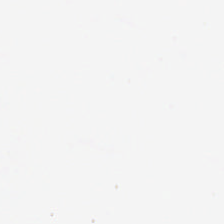Q: Classify this patch.
A: It is background.
